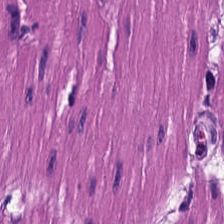H&E patch showing smooth muscle.
